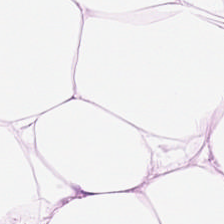224×224 px tile · H&E-stained tissue section. Adipose.
